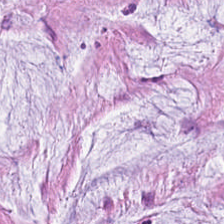H&E-stained tissue section. The predominant tissue is mucus.
